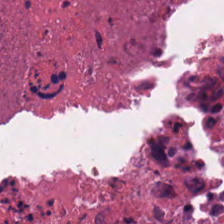FFPE; H&E-stained tissue section — This patch shows debris.
